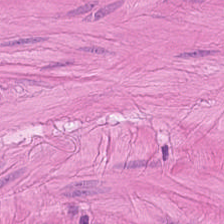Hematoxylin-and-eosin stained section. Tissue type = smooth muscle.
